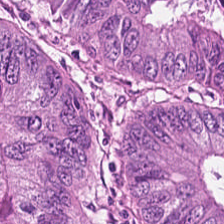Stain: hematoxylin and eosin.
Tissue type: adenocarcinoma.
